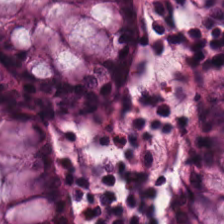Q: What tissue is shown?
A: Normal colonic mucosa.
